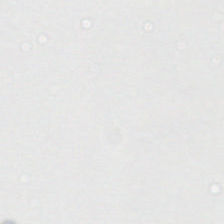H&E. 224×224 px tile. Whole-slide-image patch.
This patch shows empty background.
